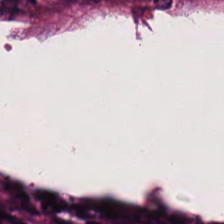H&E-stained tissue section — Q: What tissue type is shown here?
A: It is adenocarcinoma.
